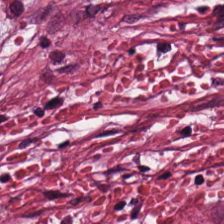H&E-stained tissue section.
Impression → tumor stroma.
